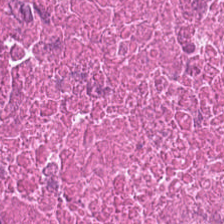Hematoxylin-and-eosin stained section. Finding → cellular debris.
